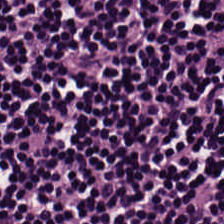0.5 µm per pixel; H&E stain.
The tissue type is lymphocyte aggregate.
